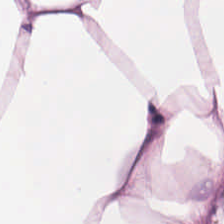Stain: hematoxylin and eosin.
Tissue type: adipocytes.
